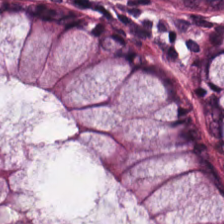The tissue type is benign colonic mucosa.
